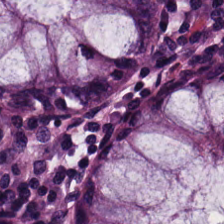Tissue class — benign colonic mucosa.
